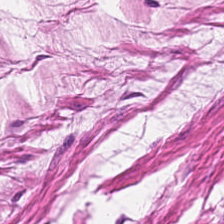224×224 px patch; H&E-stained tissue section. Predominant tissue: muscularis.
